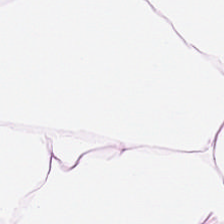This field is adipose.
